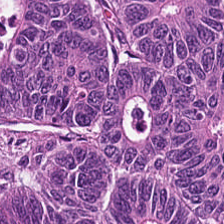Hematoxylin-and-eosin stained section · whole-slide-image patch — The predominant tissue is colorectal adenocarcinoma.
